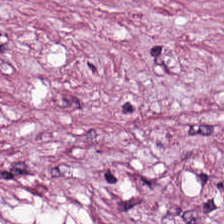H&E-stained tissue section showing tumor stroma.
